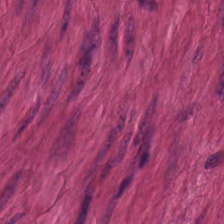Hematoxylin-and-eosin stained section — Muscularis.
